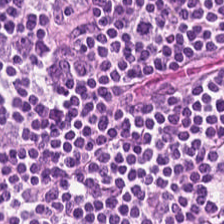H&E. 224×224 pixel tile.
The predominant tissue is lymphocyte aggregate.
